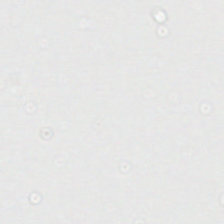WSI patch. H&E-stained tissue section.
Finding — background (no tissue).
